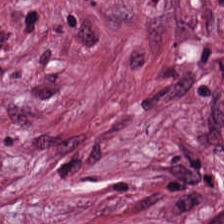H&E-stained tissue section. This patch shows tumor stroma.
